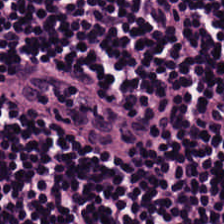20× equivalent magnification. Hematoxylin and eosin — Q: Identify the tissue.
A: The field shows lymphocyte aggregate.
